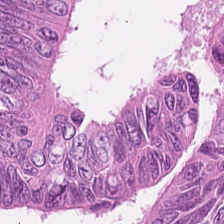H&E-stained tissue section.
Tissue class: adenocarcinoma.
